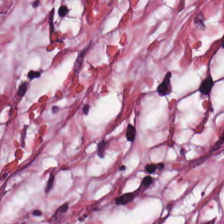Whole-slide-image patch. H&E stain — Tissue type: desmoplastic stroma.
